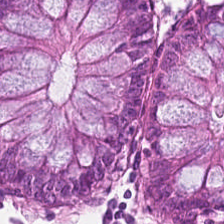WSI patch. FFPE tissue section. H&E-stained tissue section. The tissue here is normal colonic mucosa.
